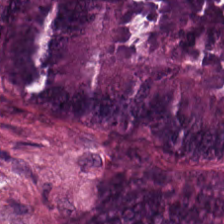Hematoxylin-and-eosin stained section.
{"tissue_type": "malignant epithelium"}
